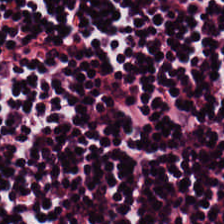Hematoxylin-and-eosin stained section — This field is lymphocyte aggregate.
